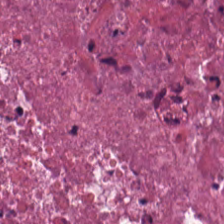Hematoxylin-and-eosin stained section. Brightfield microscopy.
The predominant tissue is necrotic debris.
